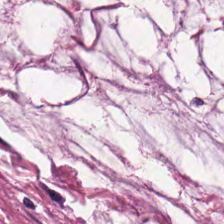224×224 px tile. H&E. Predominantly mucus.
